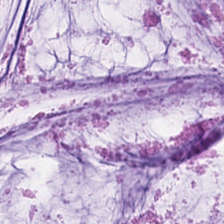H&E · 224×224 px tile. Tissue class — extracellular mucin.
